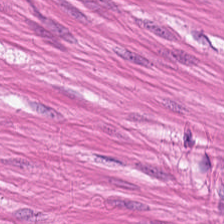Stain: H&E stain.
Tissue type: muscularis.
